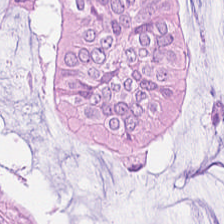Stain: H&E.
Predominant tissue: tumor epithelium.
